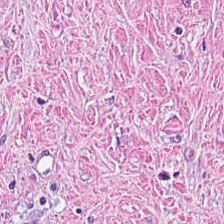H&E — The tissue class is cancer-associated stroma.
